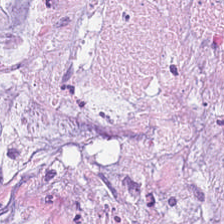0.5 µm per pixel; H&E stain; 224×224 px patch — Finding → extracellular mucin.
